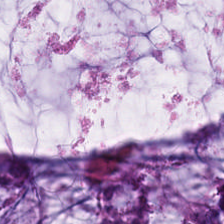H&E-stained tissue section.
Q: What is shown here?
A: The field shows extracellular mucin.
